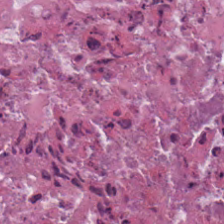Stain: H&E.
Tile size: 224×224 pixel tile.
Acquisition: brightfield.
Tissue class: debris.
